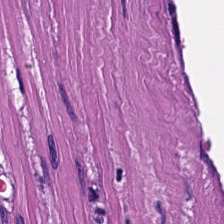{"tissue_type": "smooth-muscle tissue"}
